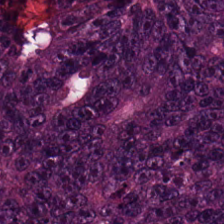H&E. Q: What does this patch show?
A: Malignant epithelium.
